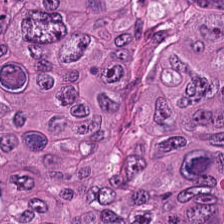Hematoxylin and eosin; 224×224 px patch.
The predominant tissue is colorectal adenocarcinoma epithelium.
